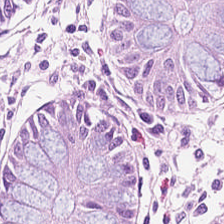Hematoxylin and eosin — This patch shows non-neoplastic colon mucosa.
